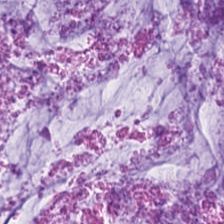Hematoxylin and eosin. Finding → extracellular mucin.
